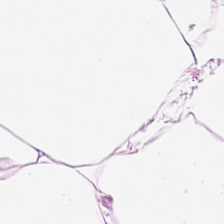Hematoxylin and eosin — Classification = adipose tissue.
